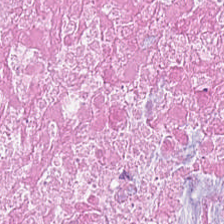H&E-stained tissue section.
The predominant tissue is necrotic debris.
